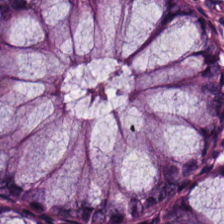The tissue here is non-neoplastic colon mucosa.
